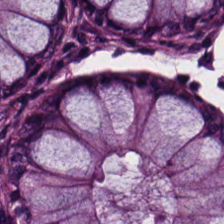Stain: H&E stain.
Tissue: benign colonic mucosa.
